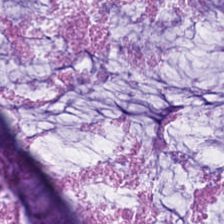Hematoxylin and eosin — The predominant tissue is extracellular mucin.
